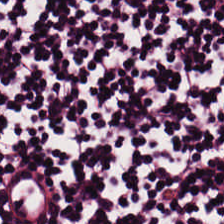H&E-stained tissue section. Showing lymphocytes.
